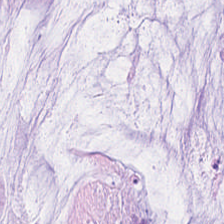WSI patch · hematoxylin-and-eosin stained section — Tissue type = mucin.
